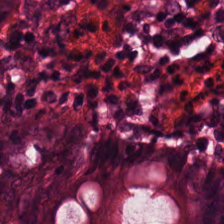224×224 px patch; hematoxylin-and-eosin stained section. Q: What tissue is shown?
A: It is normal colon mucosa.
